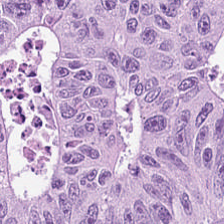Classification: malignant epithelium.
